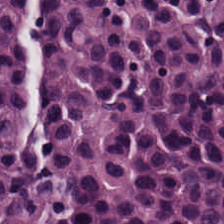H&E.
Predominant tissue = lymphocyte aggregate.
